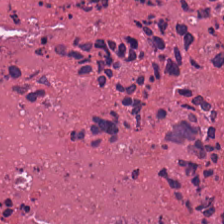H&E. Q: What type of tissue is this?
A: It is necrotic debris.
